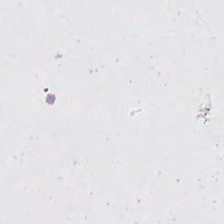WSI patch · FFPE tissue section · H&E.
Histology → background.
